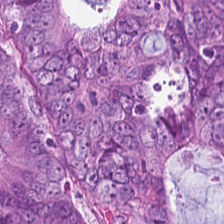Hematoxylin and eosin; brightfield — Showing colorectal adenocarcinoma epithelium.
